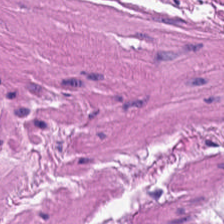Q: Classify this patch.
A: This is smooth-muscle tissue.
